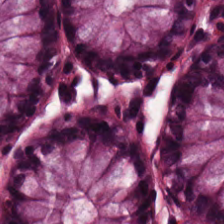Stain: hematoxylin and eosin.
Classification: normal colon mucosa.
